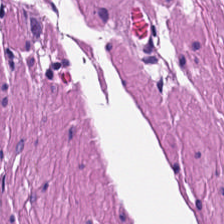H&E-stained tissue section.
Finding → smooth-muscle tissue.
